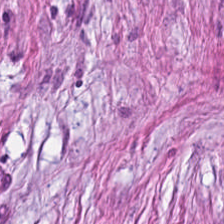Classification: tumor-associated stroma.
